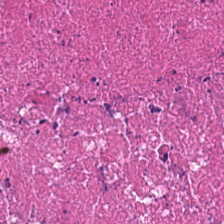Brightfield · H&E-stained tissue section · 20× equivalent magnification — The predominant tissue is cellular debris.
